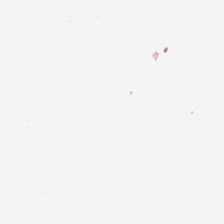Hematoxylin and eosin — Histology → no tissue.
